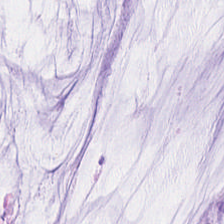The tissue class is mucus.
